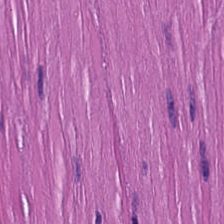H&E.
The tissue here is muscularis.
